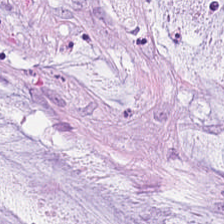Hematoxylin-and-eosin section: mucin.
